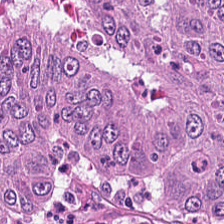Histology — colorectal adenocarcinoma.
